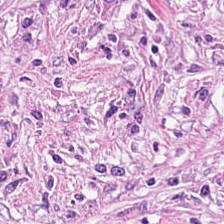H&E — Showing tumor-associated stroma.
